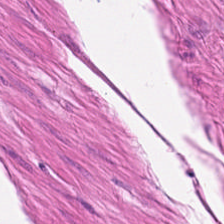Hematoxylin-and-eosin stained section — Q: What does this patch show?
A: It is muscularis.
